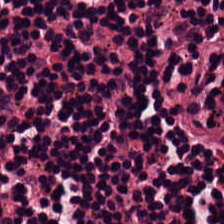224×224 px tile · hematoxylin-and-eosin stained section. Q: What tissue is shown?
A: This is lymphoid infiltrate.
